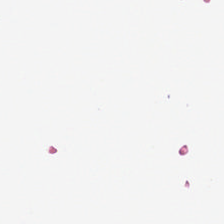224×224 pixel tile; H&E-stained tissue section; formalin-fixed paraffin-embedded section — Content: background.
